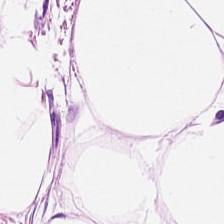Stain: hematoxylin-and-eosin stained section.
Predominant tissue: fat tissue.
